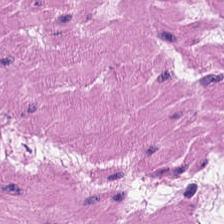Tissue type = smooth-muscle tissue.
